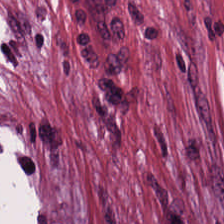The tissue type is tumor-associated stroma.
